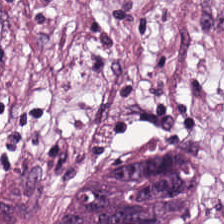Hematoxylin-and-eosin stained section; 0.5 microns per pixel; 224×224 pixel tile — The tissue here is tumor stroma.
